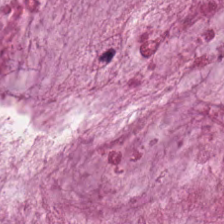224×224 px tile · H&E-stained tissue section.
Showing extracellular mucin.
